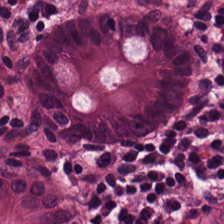Predominant tissue — benign colonic mucosa.
